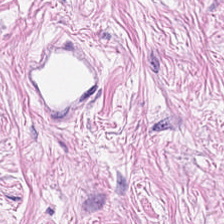WSI patch · H&E stain — Q: What is shown here?
A: The field shows desmoplastic stroma.
